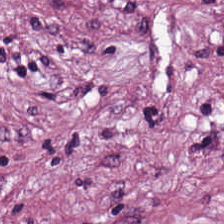H&E · 224×224 px patch. Q: What type of tissue is this?
A: This is desmoplastic stroma.
